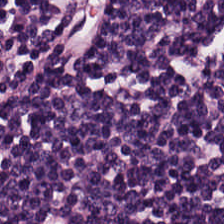H&E. Q: What tissue is shown?
A: This is lymphoid infiltrate.
